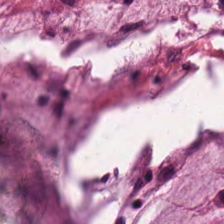H&E stain · brightfield microscopy · 0.5 µm/px. Tissue class — extracellular mucin.
